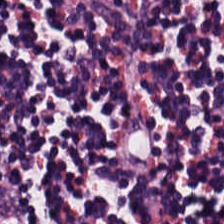H&E. 224×224 px tile — The tissue is lymphocyte aggregate.
